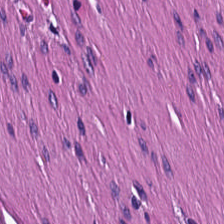H&E stain · 0.5 µm/px.
Muscularis.
